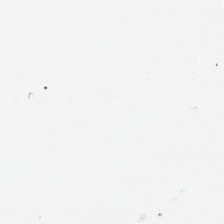No tissue.
